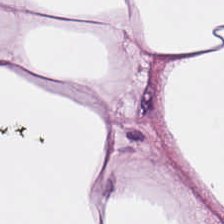Hematoxylin and eosin; 0.5 µm/px.
Q: Identify the tissue.
A: It is adipose.
